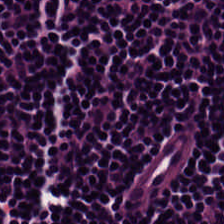Q: What is shown here?
A: Lymphoid infiltrate.
